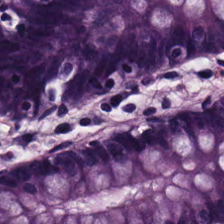Stain: H&E-stained tissue section.
Resolution: 0.5 microns per pixel.
Classification: non-neoplastic colon mucosa.
